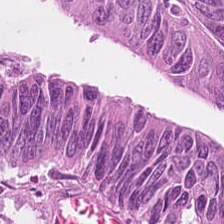Whole-slide-image patch · H&E stain — The predominant tissue is colorectal adenocarcinoma.
